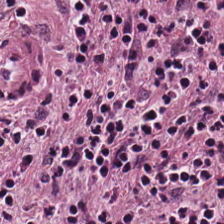Finding → lymphoid infiltrate.
